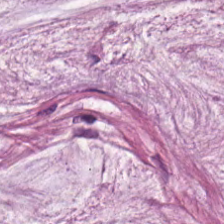H&E-stained tissue section.
This patch shows mucus.
